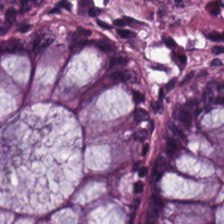Brightfield microscopy. Hematoxylin and eosin — The tissue here is normal colonic mucosa.
